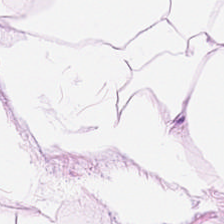Histology — fat tissue.
